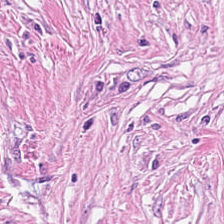The predominant tissue is cancer-associated stroma.
